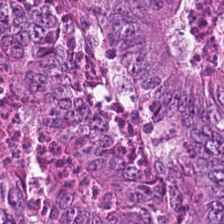H&E-stained tissue section — Showing malignant epithelium.
